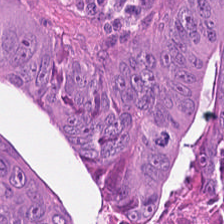Hematoxylin and eosin; brightfield microscopy; 20× equivalent magnification — Q: What does this patch show?
A: Malignant epithelium.
